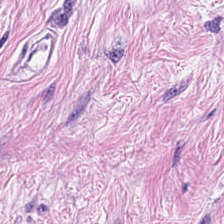Hematoxylin-and-eosin stained section.
Q: What is the predominant tissue type?
A: Desmoplastic stroma.
